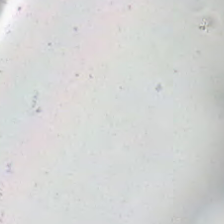Q: What is shown here?
A: This is no tissue.
